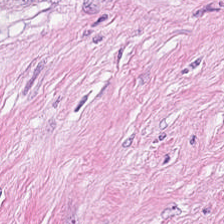Hematoxylin and eosin — Tissue — tumor-associated stroma.
